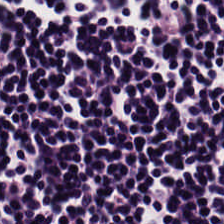Stain: hematoxylin-and-eosin stained section.
Classification: lymphocytic infiltrate.
